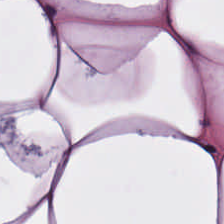Brightfield microscopy. H&E-stained tissue section. 224×224 pixel tile.
Adipose tissue.
